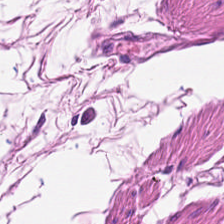H&E stain; 0.5 µm per pixel — {"tissue_type": "muscularis"}
